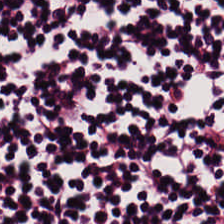Hematoxylin and eosin.
The predominant tissue is lymphocytic infiltrate.
